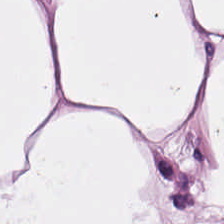H&E stain.
Fat tissue.
